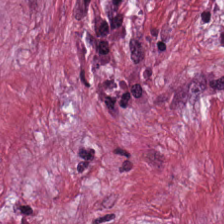WSI patch · H&E stain — Classification — cancer-associated stroma.
